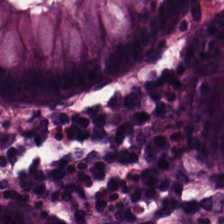Hematoxylin and eosin — The tissue class is non-neoplastic colon mucosa.
